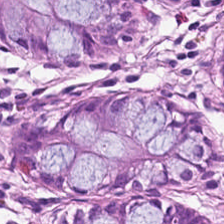Predominantly normal colonic mucosa.
